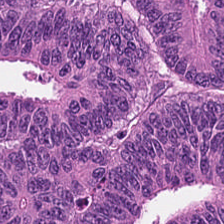Tissue = malignant epithelium.
